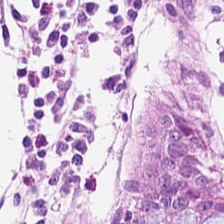0.5 microns per pixel · H&E. Tissue type — benign colonic mucosa.
